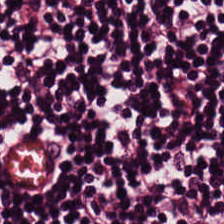H&E stain. Predominantly lymphocytic infiltrate.
